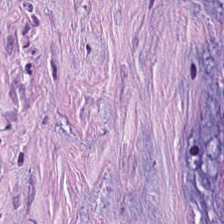Hematoxylin and eosin. Tissue type = cancer-associated stroma.
